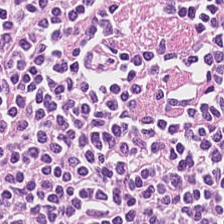Q: What does this patch show?
A: Lymphocytic infiltrate.
